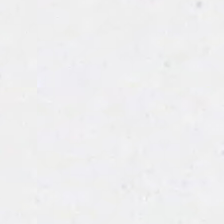Hematoxylin and eosin. Classification = no tissue.
